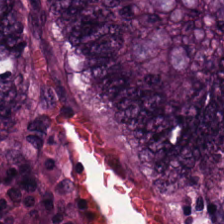224×224 px patch. H&E-stained tissue section. Finding — adenocarcinoma.
